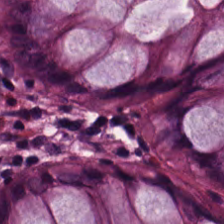Stain: hematoxylin and eosin.
Tissue class: benign colonic mucosa.
